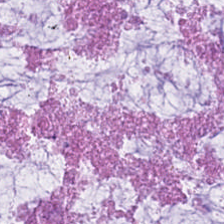Hematoxylin and eosin; brightfield. This patch shows mucin.
